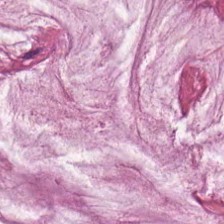Hematoxylin and eosin · brightfield — Showing extracellular mucin.
